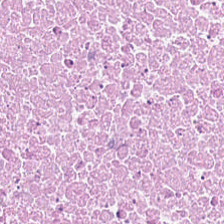Hematoxylin-and-eosin section: necrotic debris.
